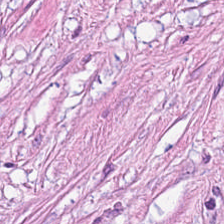H&E-stained tissue section.
Predominantly desmoplastic stroma.
